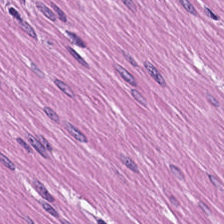Stain: hematoxylin and eosin.
Preparation: formalin-fixed paraffin-embedded section.
Tile size: 224×224 px tile.
Predominant tissue: muscularis.
